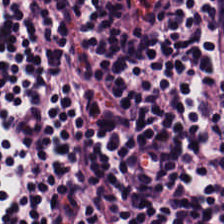Predominantly lymphoid infiltrate.
